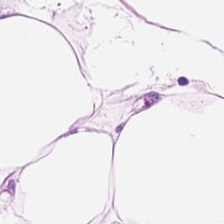224×224 px tile · hematoxylin and eosin.
Predominantly adipose tissue.
